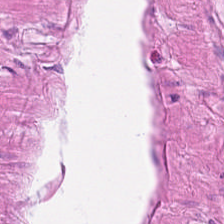Q: What tissue is shown?
A: It is smooth muscle.
